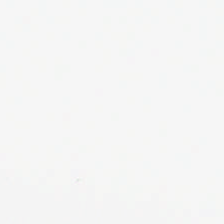Hematoxylin and eosin; 0.5 µm per pixel.
Finding → no tissue.
